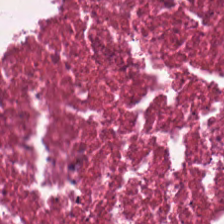Predominantly necrotic debris.
